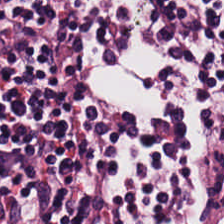Q: What is shown here?
A: This is lymphocytic infiltrate.
